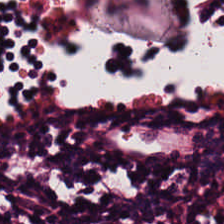Hematoxylin and eosin · 0.5 microns per pixel — Impression — lymphocyte aggregate.
